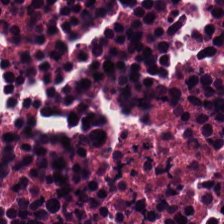Hematoxylin-and-eosin stained section · formalin-fixed paraffin-embedded section. This patch shows debris.
